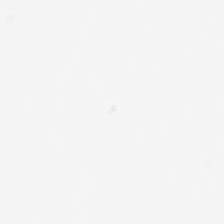Content: background (no tissue).
